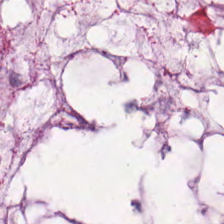H&E stain; brightfield — The tissue here is mucus.
